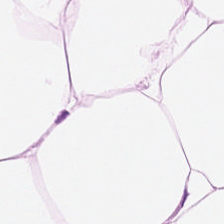H&E patch showing adipose tissue.
